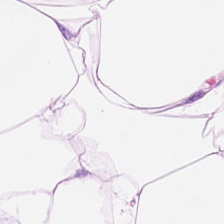Q: What tissue is shown?
A: The field shows adipose tissue.
